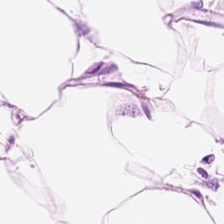Finding → fat tissue.
